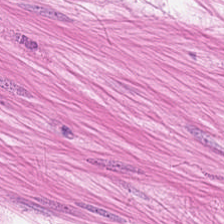H&E-stained tissue section.
The tissue type is smooth-muscle tissue.
